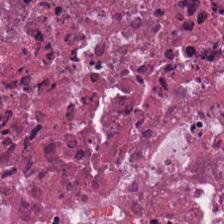Stain: H&E.
Tile size: 224×224 px patch.
Resolution: 0.5 µm/px.
Tissue: debris.
